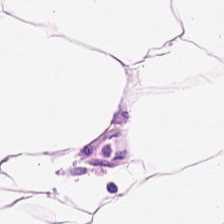This patch shows adipose tissue.
